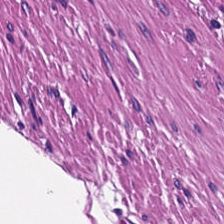Predominant tissue: smooth-muscle tissue.
